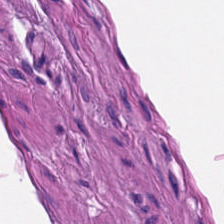Histology → smooth-muscle tissue.
